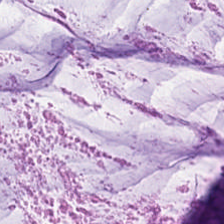Hematoxylin-and-eosin stained section.
The predominant tissue is mucus.
